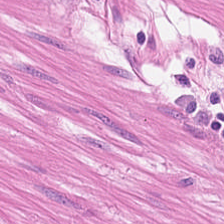Stain: H&E.
Classification: smooth muscle.
